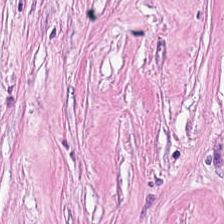H&E. 0.5 microns per pixel. Q: Identify the tissue.
A: Cancer-associated stroma.
